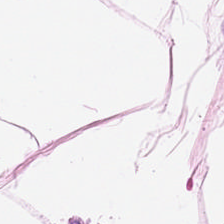Tissue type: adipose tissue.
